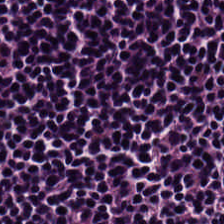H&E stain. The tissue here is lymphocyte aggregate.
